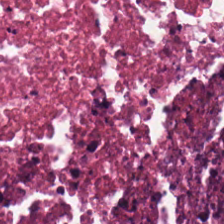Hematoxylin and eosin — Predominantly debris.
